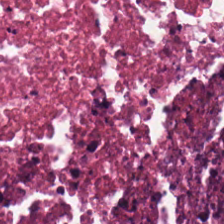Hematoxylin and eosin — Predominantly debris.
